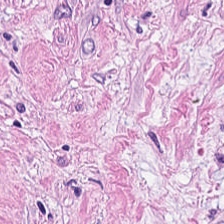FFPE · hematoxylin-and-eosin stained section. Classification — tumor-associated stroma.
